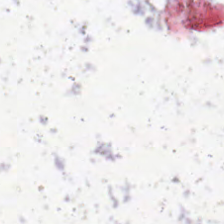H&E stain. Histology — background (no tissue).
